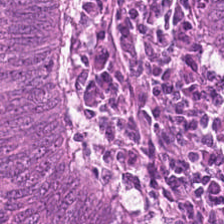0.5 µm per pixel; hematoxylin and eosin; 224×224 px patch — Showing adenocarcinoma.
